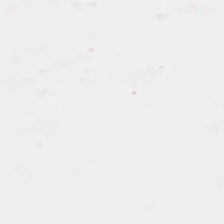Brightfield; H&E; 224×224 px tile.
{"content": "empty background"}
